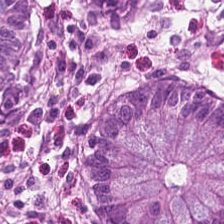H&E — normal colon mucosa.
